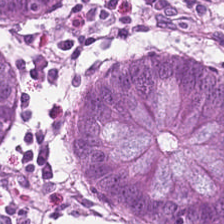Q: What type of tissue is this?
A: It is normal colon mucosa.
